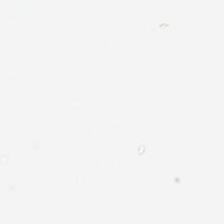H&E. Formalin-fixed paraffin-embedded section. Background — no tissue in this field.
